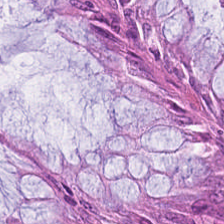Hematoxylin and eosin. The tissue is benign colonic mucosa.
